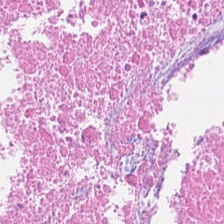Hematoxylin-and-eosin stained section.
Necrotic debris.
